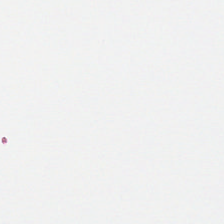Content — background (no tissue).
